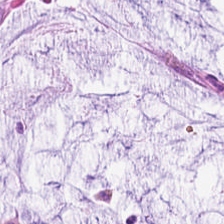Q: What tissue type is shown here?
A: The field shows mucin.
